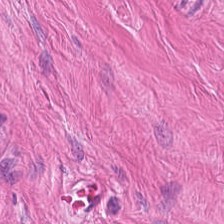0.5 microns per pixel. H&E — This field is smooth-muscle tissue.
